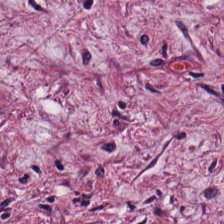0.5 µm/px; whole-slide-image patch; H&E stain. The predominant tissue is desmoplastic stroma.
